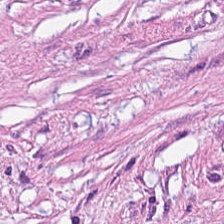The predominant tissue is tumor stroma.
